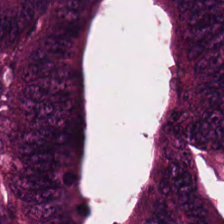Hematoxylin and eosin.
The tissue here is malignant epithelium.
